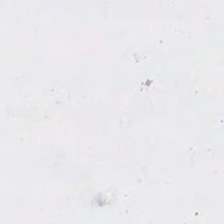0.5 µm/px · H&E stain · whole-slide-image patch — The field content is no tissue.
